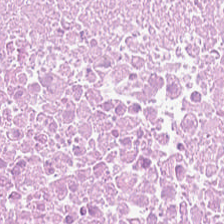Stain: hematoxylin-and-eosin stained section.
Resolution: 0.5 µm/px.
Tissue: necrotic debris.
